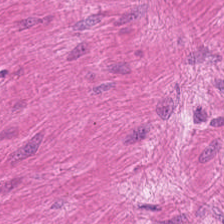H&E-stained tissue section · FFPE tissue section. Q: What tissue is shown?
A: Smooth-muscle tissue.
